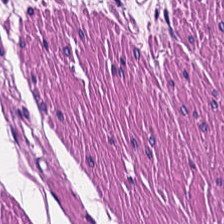H&E stain. Brightfield. Predominantly muscularis.
